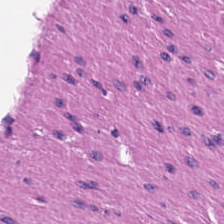H&E stain.
Impression — muscularis.
